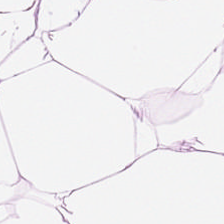224×224 pixel tile; hematoxylin-and-eosin stained section.
Tissue = fat tissue.
